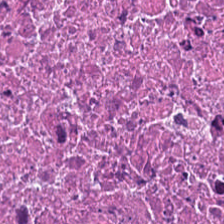Hematoxylin-and-eosin stained section; 224×224 px patch. This field is cellular debris.
